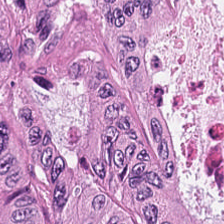Stain: H&E.
Classification: colorectal adenocarcinoma.
